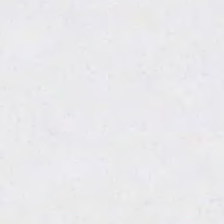H&E stain. Classification: no tissue.
